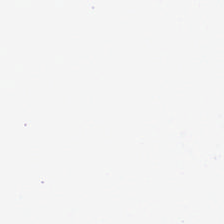This field is background (no tissue).
